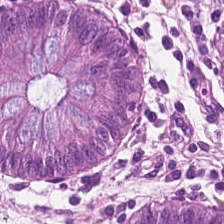Stain: hematoxylin and eosin.
Classification: non-neoplastic colon mucosa.
